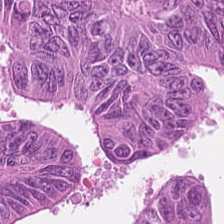Hematoxylin-and-eosin stained section. Q: What type of tissue is this?
A: The field shows colorectal adenocarcinoma.
